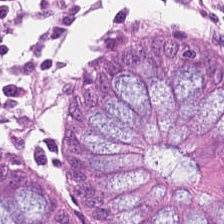Hematoxylin and eosin.
Tissue: normal colonic mucosa.
